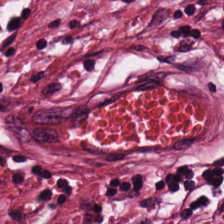Stain: H&E stain.
Classification: tumor-associated stroma.
